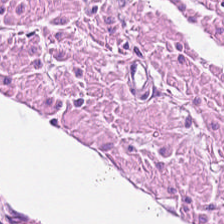Q: What tissue is shown?
A: It is smooth-muscle tissue.
